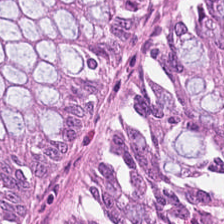H&E-stained tissue section — This patch shows benign colonic mucosa.
